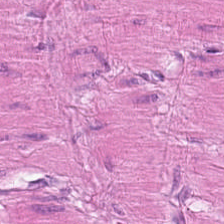Stain: H&E.
Predominant tissue: smooth muscle.
